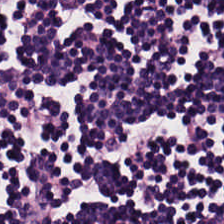Q: What type of tissue is this?
A: This is lymphocyte aggregate.
